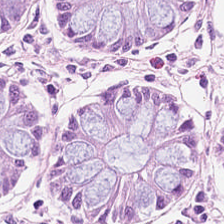Stain: H&E stain.
Classification: normal colonic mucosa.
